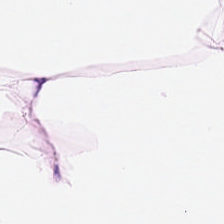H&E stain — Classification = adipocytes.
